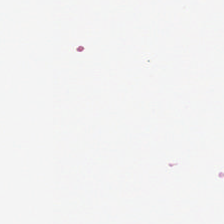Q: What does this patch show?
A: The field shows empty background.
